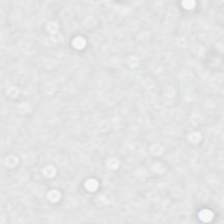H&E stain. 224×224 pixel tile.
This patch shows empty background.
